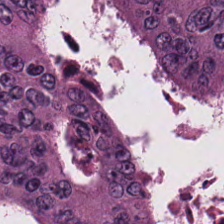H&E. Tissue type: malignant epithelium.
